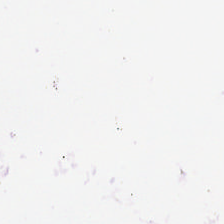Background (no tissue).
